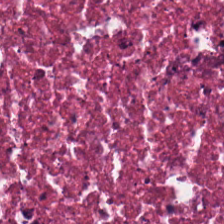This patch shows necrotic debris.
